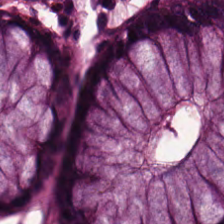0.5 µm/px. Hematoxylin-and-eosin stained section. FFPE tissue section — The tissue class is benign colonic mucosa.
